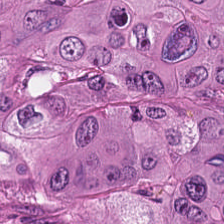Stain: hematoxylin and eosin.
Classification: adenocarcinoma.
